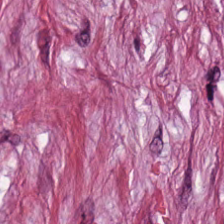H&E stain. Whole-slide-image patch.
Q: What tissue type is shown here?
A: This is cancer-associated stroma.
